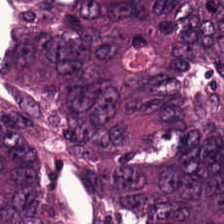H&E-stained tissue section.
Histology — tumor epithelium.
